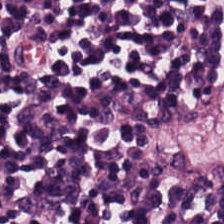The tissue class is lymphocytic infiltrate.
